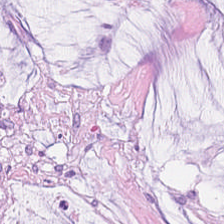The tissue is mucin.
